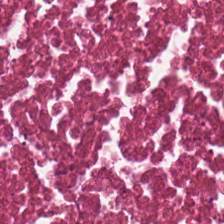H&E patch showing necrotic debris.
